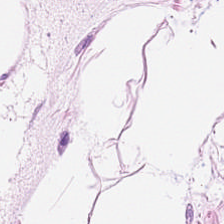224×224 px patch. Hematoxylin and eosin — Showing adipose tissue.
